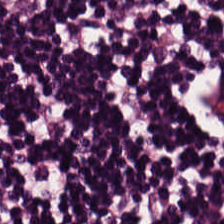H&E-stained tissue section. The predominant tissue is lymphocyte aggregate.
